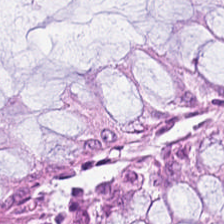H&E. The tissue class is normal colonic mucosa.
